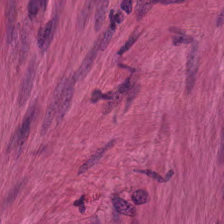Q: What is shown in this field?
A: Muscularis.
